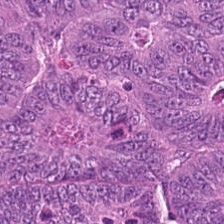0.5 µm per pixel. H&E stain.
Q: What does this patch show?
A: The field shows adenocarcinoma.
